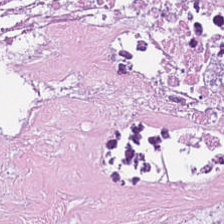H&E stain; brightfield microscopy. Histology — cellular debris.
